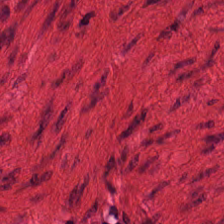Stain: hematoxylin-and-eosin stained section.
Tissue class: smooth-muscle tissue.
